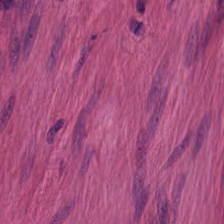H&E-stained tissue section; 0.5 microns per pixel. Q: Classify this patch.
A: This is muscularis.
